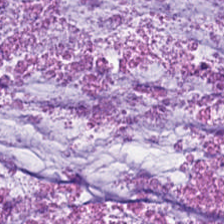Hematoxylin-and-eosin stained section — Finding → mucus.
